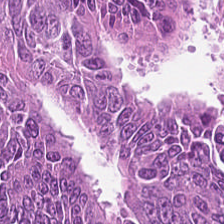{"tissue_type": "colorectal adenocarcinoma"}
